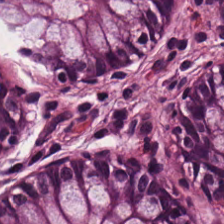Stain: hematoxylin and eosin.
Tissue class: normal colonic mucosa.
